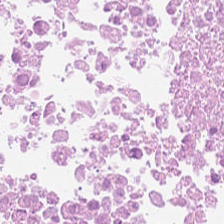H&E-stained tissue section; 224×224 px patch; formalin-fixed paraffin-embedded section — Tissue type: cellular debris.
